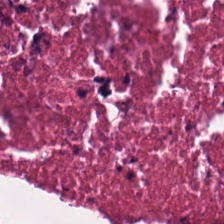FFPE tissue section · H&E-stained tissue section. This field is debris.
